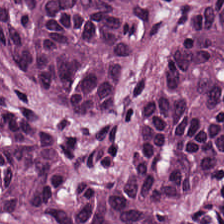Tissue = colorectal adenocarcinoma.
